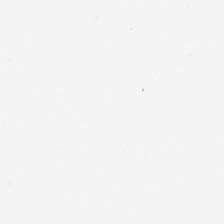224×224 pixel tile · H&E. Q: What is shown in this field?
A: It is background (no tissue).
